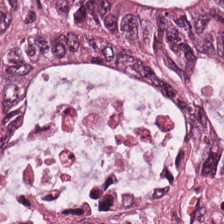The tissue type is malignant epithelium.
